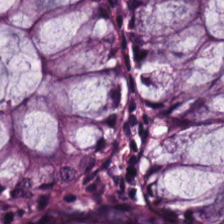0.5 microns per pixel; H&E. This field is normal colon mucosa.
